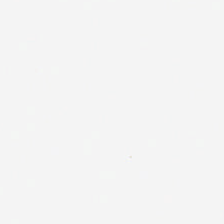H&E-stained tissue section. Content — background.
